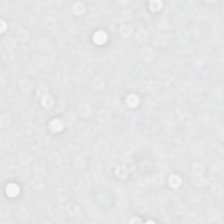Hematoxylin and eosin. 224×224 px patch — No tissue present; background only.
